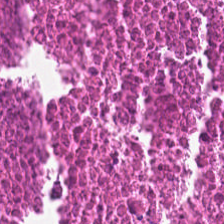Hematoxylin-and-eosin stained section — Q: Identify the tissue.
A: It is necrotic debris.
